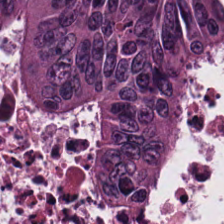Finding → tumor epithelium.
